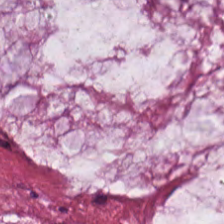H&E-stained tissue section — Showing mucus.
